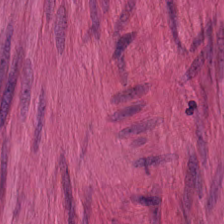Hematoxylin-and-eosin stained section. This field is muscularis.
